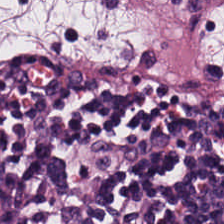224×224 px patch · 0.5 µm/px · hematoxylin and eosin. The tissue here is lymphoid infiltrate.
